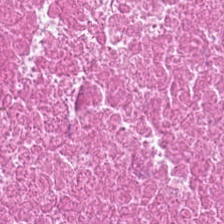0.5 microns per pixel · hematoxylin and eosin.
Cellular debris.
